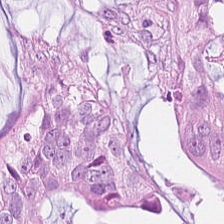H&E stain.
Q: What does this patch show?
A: The field shows tumor epithelium.
